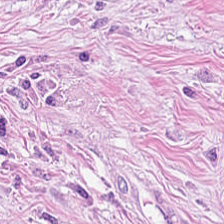H&E — Histology — desmoplastic stroma.
